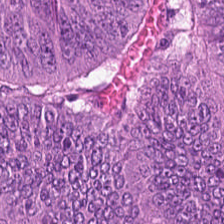Stain: hematoxylin and eosin.
Predominant tissue: adenocarcinoma.
